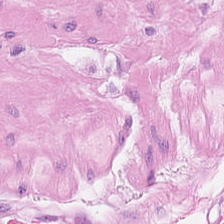H&E-stained tissue section.
The tissue class is smooth muscle.
